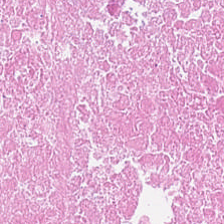H&E stain; 0.5 µm per pixel.
This field is cellular debris.
